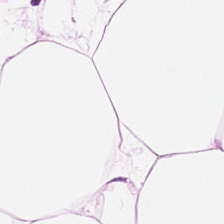Hematoxylin-and-eosin stained section; 0.5 µm per pixel. Showing fat tissue.
